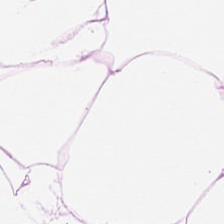Hematoxylin-and-eosin stained section. The predominant tissue is fat tissue.
